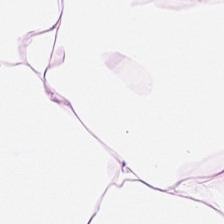Stain: H&E.
Classification: adipocytes.
